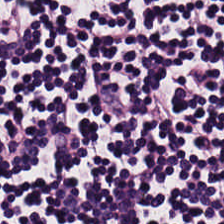Hematoxylin-and-eosin stained section; formalin-fixed paraffin-embedded section; 0.5 µm per pixel.
{"tissue_type": "lymphocytes"}
